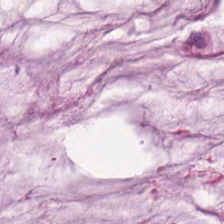H&E stain — Tissue — mucin.
